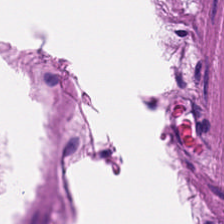Hematoxylin and eosin. This patch shows muscularis.
